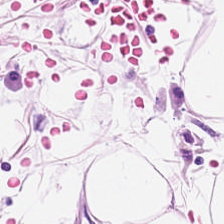Hematoxylin-and-eosin stained section. Whole-slide-image patch. 224×224 pixel tile.
Classification: adipose.
